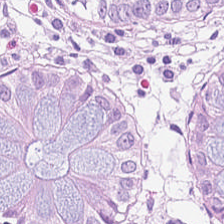H&E stain — The predominant tissue is normal colon mucosa.
